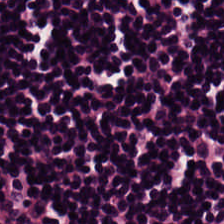H&E — The predominant tissue is lymphocyte aggregate.
